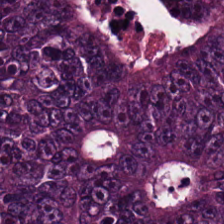H&E stain. 224×224 px patch. 0.5 µm/px — Tissue type: tumor epithelium.
